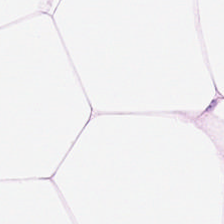Whole-slide-image patch. Hematoxylin and eosin. Histology → fat tissue.
